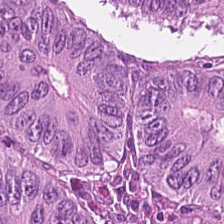H&E · brightfield · 224×224 pixel tile.
{"tissue_type": "colorectal adenocarcinoma epithelium"}
